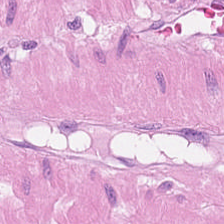Hematoxylin-and-eosin stained section. Tissue type: smooth-muscle tissue.
